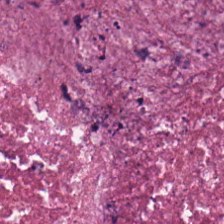Stain: H&E.
Resolution: 0.5 µm per pixel.
Tissue type: debris.
